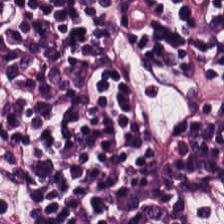224×224 px tile. H&E stain. Q: Classify this patch.
A: It is lymphoid infiltrate.
